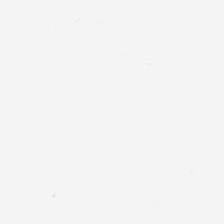Hematoxylin and eosin.
Empty field — background (no tissue).
